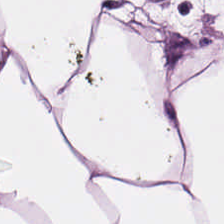Hematoxylin and eosin · 224×224 pixel tile · FFPE tissue section. Q: Identify the tissue.
A: It is adipose.
